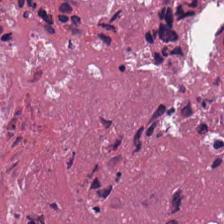Hematoxylin and eosin.
This field is debris.
